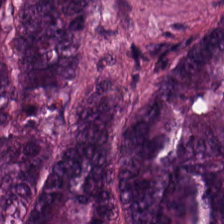This field is colorectal adenocarcinoma epithelium.
